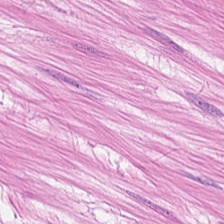Q: Identify the tissue.
A: The field shows muscularis.
